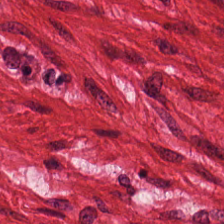Impression → muscularis.
